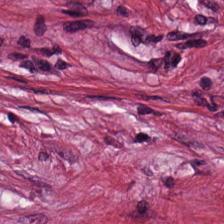0.5 µm per pixel. H&E stain.
Q: What tissue is shown?
A: The field shows tumor-associated stroma.
